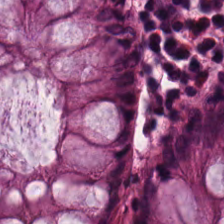H&E. 224×224 px patch — Predominantly normal colonic mucosa.
